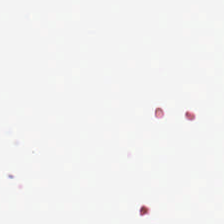H&E stain · whole-slide-image patch.
Q: What does this patch show?
A: Empty background.
